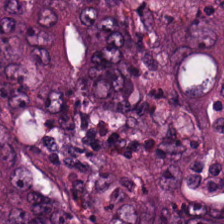Hematoxylin-and-eosin stained section — Histology → malignant epithelium.
